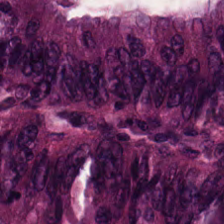Stain: H&E stain.
Tissue: adenocarcinoma.
